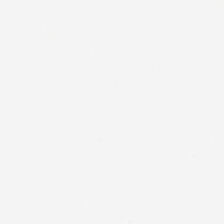The content is empty background.
